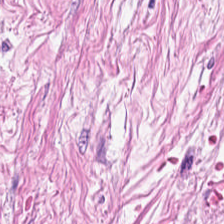Tissue type = cancer-associated stroma.
